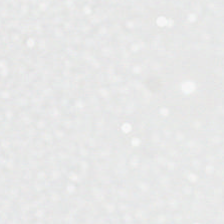Empty field — empty background.
